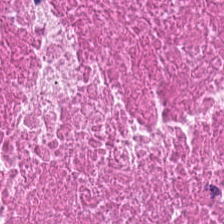H&E stain. 224×224 px patch. Q: What is shown here?
A: The field shows debris.
